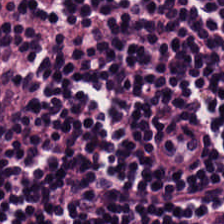Hematoxylin-and-eosin stained section. Tissue class — lymphocytic infiltrate.
